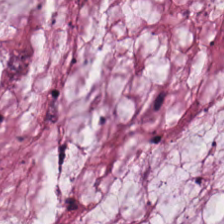224×224 px patch; H&E-stained tissue section — This patch shows mucus.
